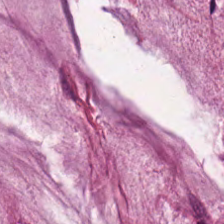Hematoxylin-and-eosin stained section; formalin-fixed paraffin-embedded section — This field is mucin.
